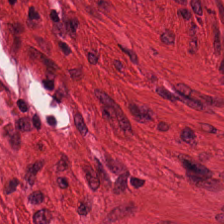Formalin-fixed paraffin-embedded section; 224×224 px tile; H&E. This field is smooth-muscle tissue.
